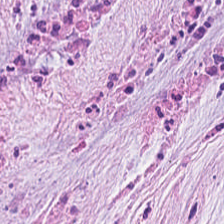H&E stain — Classification = tumor stroma.
